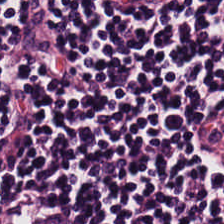Tissue type = lymphocytic infiltrate.
